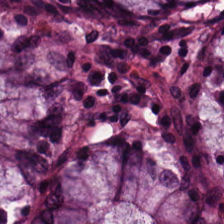The tissue type is non-neoplastic colon mucosa.
